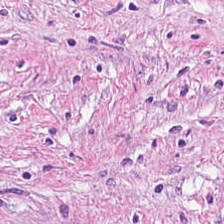H&E — The predominant tissue is cancer-associated stroma.
